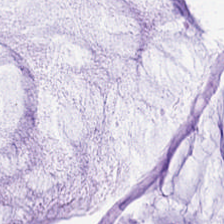224×224 px patch; H&E-stained tissue section — This patch shows mucin.
